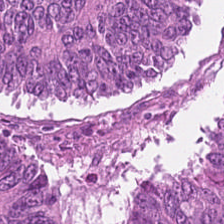H&E — The tissue class is colorectal adenocarcinoma epithelium.
